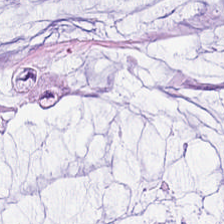H&E.
The predominant tissue is extracellular mucin.
